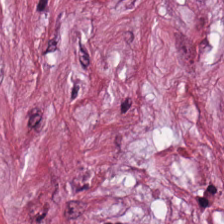224×224 pixel tile · hematoxylin-and-eosin stained section — The tissue here is cancer-associated stroma.
